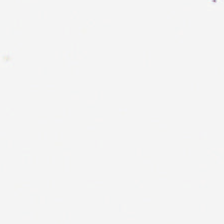224×224 pixel tile. Hematoxylin and eosin — Q: What is shown in this field?
A: The field shows background (no tissue).
